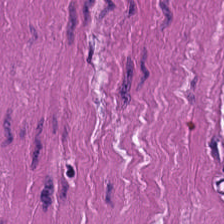Hematoxylin-and-eosin stained section.
Q: What tissue is shown?
A: Smooth muscle.
